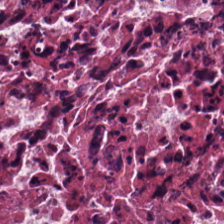Hematoxylin and eosin. Classification: debris.
